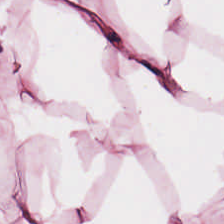Stain: hematoxylin-and-eosin stained section.
Tile size: 224×224 pixel tile.
Tissue: adipose tissue.
